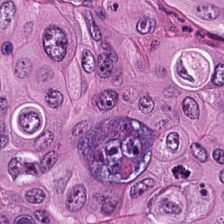20× equivalent magnification; H&E-stained tissue section.
This patch shows adenocarcinoma.
